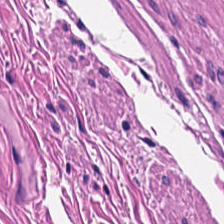H&E stain · brightfield microscopy.
Tissue type: smooth muscle.
